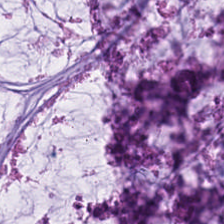H&E stain.
Mucin.
